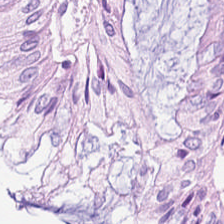The tissue type is non-neoplastic colon mucosa.
